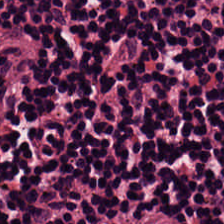Stain: H&E-stained tissue section.
Tissue class: lymphoid infiltrate.
